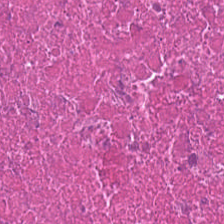H&E-stained tissue section.
This field is debris.
